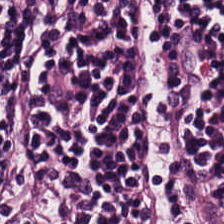Predominantly lymphocyte aggregate.
